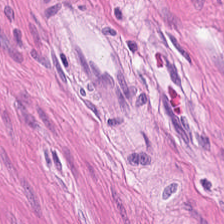FFPE · 0.5 microns per pixel · hematoxylin and eosin.
Muscularis.
